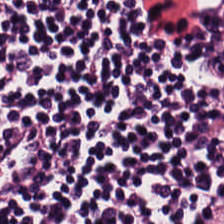H&E-stained tissue section.
Tissue = lymphocytes.
